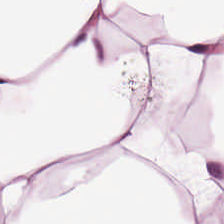H&E stain. Finding → adipocytes.
